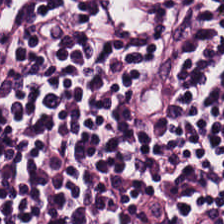H&E-stained section; the field shows lymphocyte aggregate.
